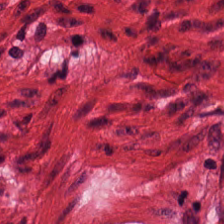Hematoxylin and eosin — Q: What is shown in this field?
A: Smooth-muscle tissue.
